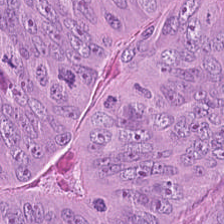Q: What does this patch show?
A: Tumor epithelium.
